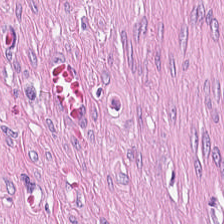H&E stain. Brightfield microscopy. The classification is cancer-associated stroma.
